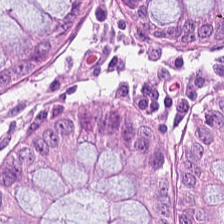H&E stain.
Impression — non-neoplastic colon mucosa.
